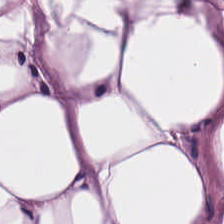H&E stain · brightfield — Tissue = adipocytes.
